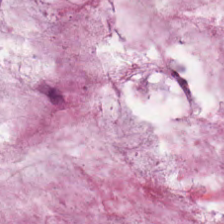Hematoxylin-and-eosin stained section. The predominant tissue is extracellular mucin.
